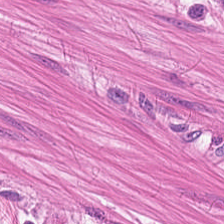FFPE; H&E stain. Q: What type of tissue is this?
A: It is muscularis.
